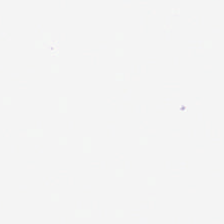Q: What does this patch show?
A: It is background.
